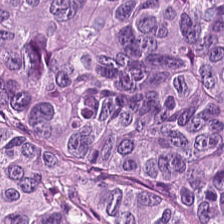H&E-stained tissue section. Finding → colorectal adenocarcinoma epithelium.
